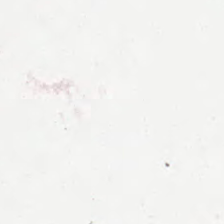224×224 px patch. Hematoxylin and eosin. Background.
